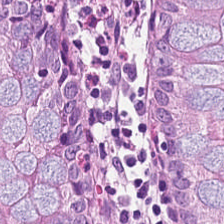H&E stain. Predominant tissue = non-neoplastic colon mucosa.
